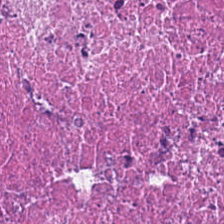H&E stain. Predominantly cellular debris.
